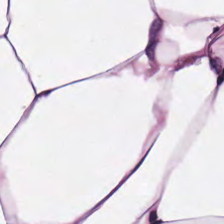Hematoxylin-and-eosin stained section · 0.5 µm/px · FFPE. Finding → fat tissue.
